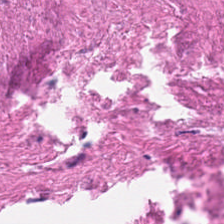H&E — debris.
